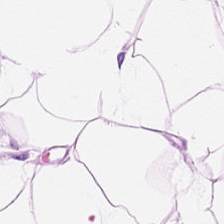H&E — Tissue type = adipose tissue.
